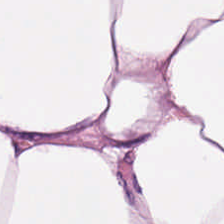Hematoxylin and eosin. {"tissue_type": "adipose"}
